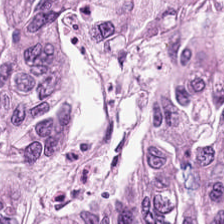H&E stain. 224×224 pixel tile — This patch shows adenocarcinoma.
